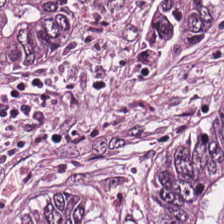Stain: H&E-stained tissue section.
Classification: colorectal adenocarcinoma epithelium.
